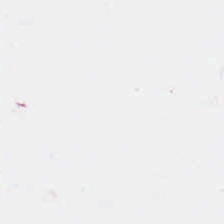H&E stain.
Empty field — empty background.
